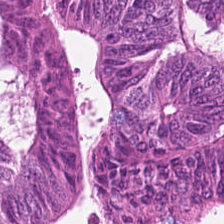224×224 px tile; 0.5 µm per pixel; H&E stain. The tissue is malignant epithelium.
